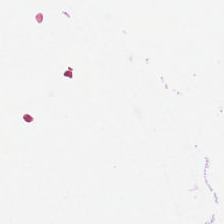Stain: H&E stain.
Field content: background.
